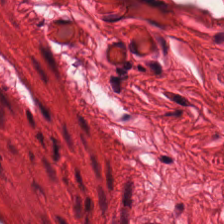Hematoxylin and eosin · 0.5 µm/px. This patch shows muscularis.
